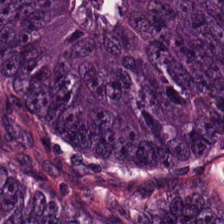224×224 px tile; H&E-stained tissue section. Tissue type: malignant epithelium.
